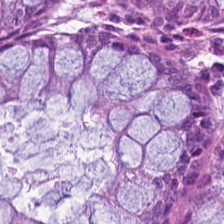0.5 µm per pixel · FFPE tissue section · H&E stain — Tissue type: normal colonic mucosa.
